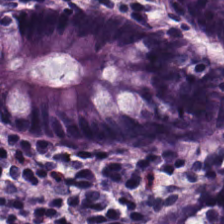H&E stain — Showing normal colon mucosa.
